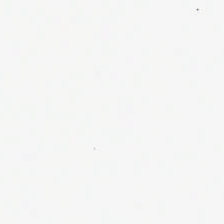Histology → no tissue.
